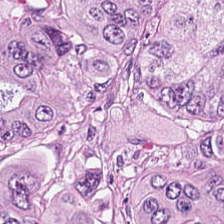Hematoxylin-and-eosin stained section. Q: Identify the tissue.
A: Colorectal adenocarcinoma epithelium.
